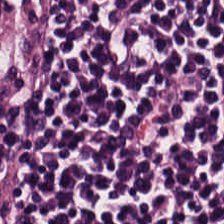H&E. This patch shows lymphocytes.
